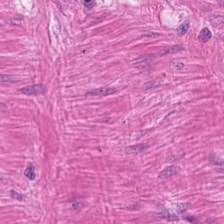0.5 microns per pixel · H&E — This field is smooth-muscle tissue.
